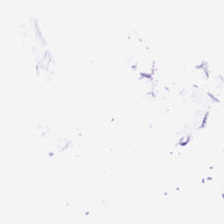Hematoxylin-and-eosin stained section.
Histology — background.
